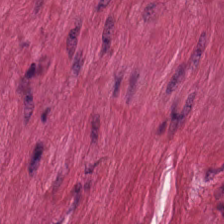H&E-stained tissue section · brightfield — Smooth-muscle tissue.
